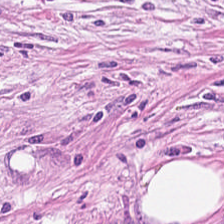224×224 pixel tile; hematoxylin and eosin. The predominant tissue is cancer-associated stroma.
